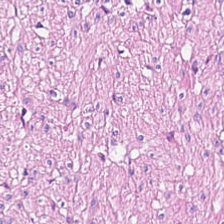Stain: hematoxylin-and-eosin stained section.
Preparation: formalin-fixed paraffin-embedded section.
Classification: muscularis.
